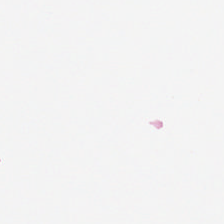Classification — background.
